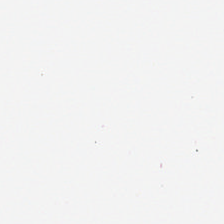H&E; 0.5 µm/px; 224×224 px tile — Histology → background (no tissue).
